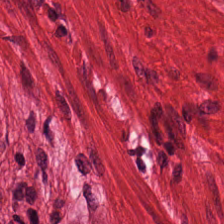H&E stain; whole-slide-image patch. Q: What does this patch show?
A: It is smooth muscle.
